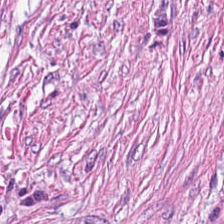H&E-stained section; the field shows desmoplastic stroma.
